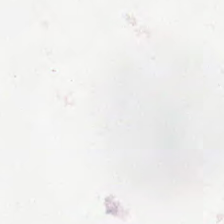H&E-stained tissue section — Empty field — background.
